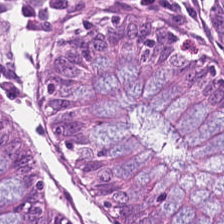Hematoxylin-and-eosin stained section. The tissue here is normal colon mucosa.
